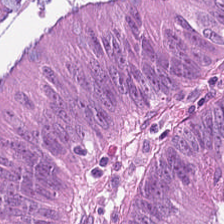H&E-stained tissue section; whole-slide-image patch. The tissue here is colorectal adenocarcinoma.
